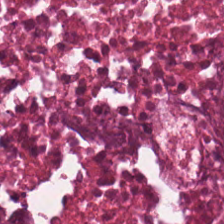Stain: H&E stain.
Classification: cellular debris.
